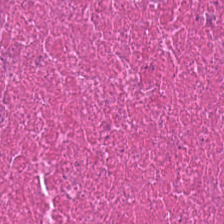H&E-stained tissue section. Brightfield.
Q: What is shown here?
A: This is necrotic debris.
